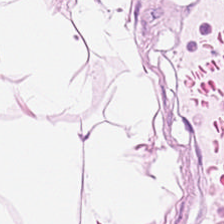H&E; whole-slide-image patch.
Q: What tissue is shown?
A: Fat tissue.
